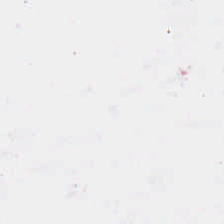Whole-slide-image patch · 224×224 px patch · hematoxylin-and-eosin stained section — Q: What does this patch show?
A: The field shows empty background.
